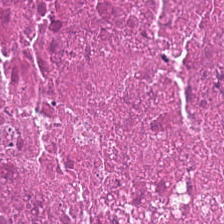H&E — {"tissue_type": "necrotic debris"}
